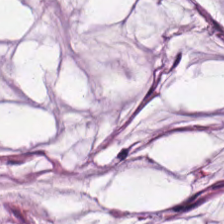Impression — mucin.
